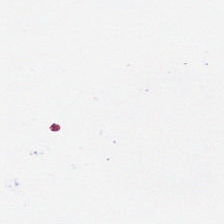Finding → background (no tissue).
